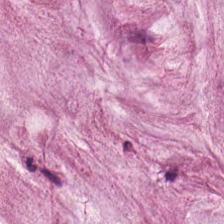Hematoxylin-and-eosin stained section.
This field is extracellular mucin.
